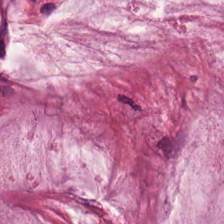H&E patch showing mucus.
